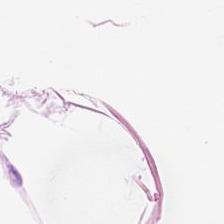Tissue class: adipocytes.
